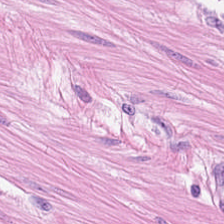H&E stain.
Classification: smooth-muscle tissue.
